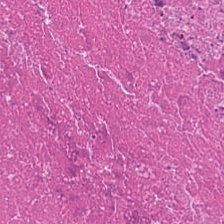224×224 pixel tile · hematoxylin and eosin — The predominant tissue is cellular debris.
